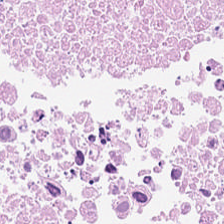H&E-stained tissue section — Tissue class: necrotic debris.
